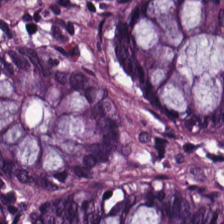20× equivalent magnification; hematoxylin-and-eosin stained section. Histology — benign colonic mucosa.
